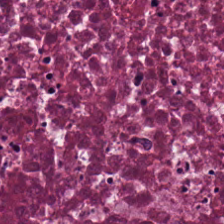H&E-stained tissue section.
{"tissue_type": "necrotic debris"}
